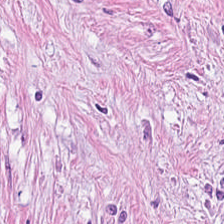Stain: hematoxylin and eosin.
Predominant tissue: desmoplastic stroma.
